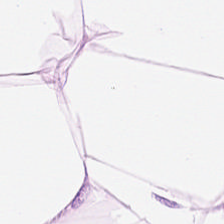Hematoxylin-and-eosin stained section. 20× equivalent magnification. FFPE tissue section.
Q: What is the predominant tissue type?
A: This is adipocytes.
